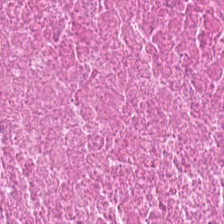Hematoxylin-and-eosin section: debris.
